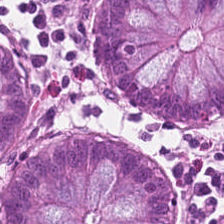Formalin-fixed paraffin-embedded section; hematoxylin and eosin.
The tissue here is normal colon mucosa.
